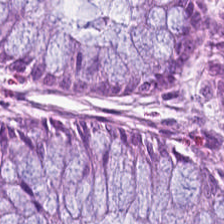Hematoxylin-and-eosin stained section · FFPE tissue section. Tissue — normal colonic mucosa.
